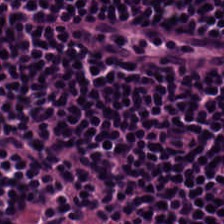{"tissue_type": "lymphocytic infiltrate"}
